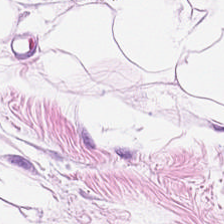224×224 px tile · H&E.
This field is adipose tissue.
